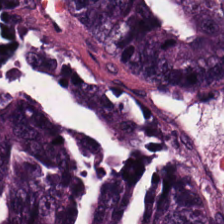Hematoxylin and eosin. FFPE tissue section. 20× equivalent magnification — The tissue here is colorectal adenocarcinoma.
